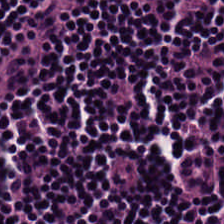Brightfield. H&E-stained tissue section.
The predominant tissue is lymphocytic infiltrate.
